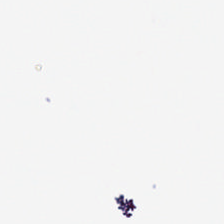H&E stain — Q: What does this patch show?
A: No tissue.
